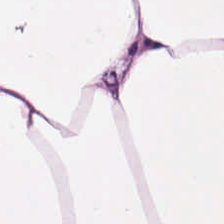H&E stain. FFPE tissue section. This patch shows adipose.
